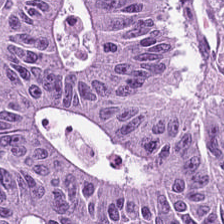Hematoxylin and eosin. Tissue: tumor epithelium.
